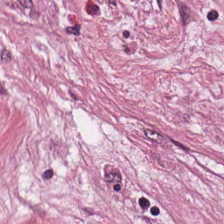224×224 px tile; H&E-stained tissue section — This patch shows tumor stroma.
